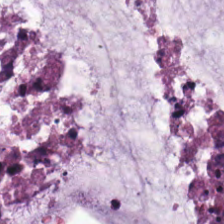Hematoxylin and eosin — The tissue class is extracellular mucin.
